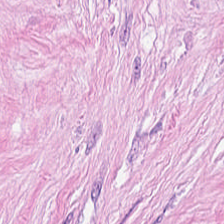Histology → tumor-associated stroma.
